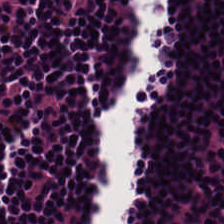H&E-stained tissue section showing lymphocytes.
